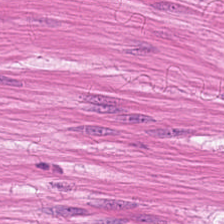Stain: hematoxylin-and-eosin stained section.
Predominant tissue: smooth-muscle tissue.
